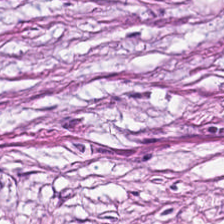The tissue here is tumor stroma.
